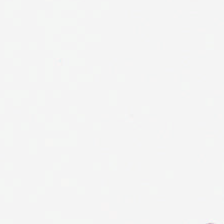H&E.
Finding → empty background.
